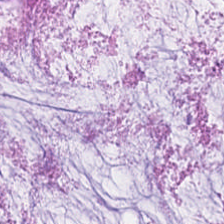Stain: H&E-stained tissue section.
Resolution: 20× equivalent magnification.
Tissue class: mucin.
